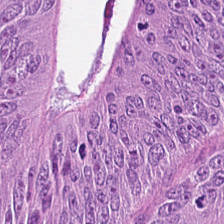Stain: hematoxylin and eosin.
Tissue: tumor epithelium.
